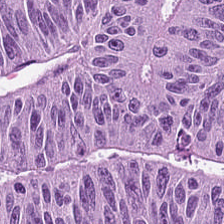Hematoxylin-and-eosin stained section.
This field is colorectal adenocarcinoma.
